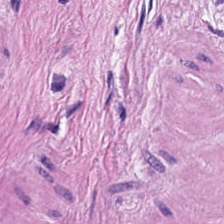H&E stain. This patch shows smooth-muscle tissue.
